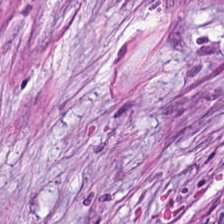224×224 px patch · H&E-stained tissue section.
This patch shows cancer-associated stroma.
